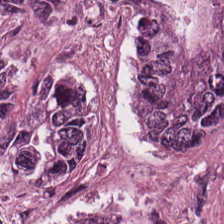Stain: H&E stain.
Tissue class: malignant epithelium.
